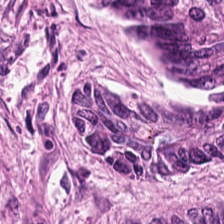0.5 microns per pixel; hematoxylin and eosin. Tissue = tumor epithelium.
